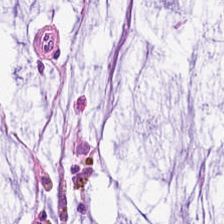Hematoxylin-and-eosin stained section.
Q: What tissue type is shown here?
A: It is mucus.
